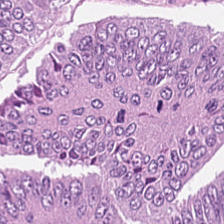H&E-stained tissue section.
Q: Identify the tissue.
A: The field shows colorectal adenocarcinoma epithelium.
